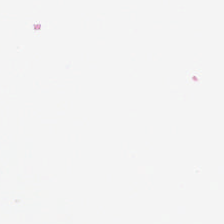{"content": "background"}
